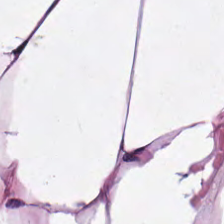Hematoxylin-and-eosin stained section. Histology — adipose.
